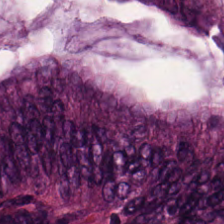H&E — colorectal adenocarcinoma.
